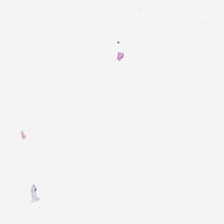WSI patch. Hematoxylin-and-eosin stained section — Classification = no tissue.
